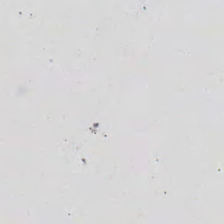H&E; whole-slide-image patch; formalin-fixed paraffin-embedded section.
This field is background (no tissue).
